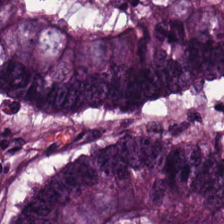Stain: H&E-stained tissue section.
Tissue: tumor epithelium.
